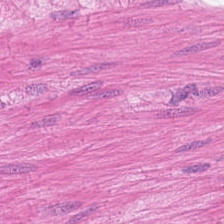H&E · formalin-fixed paraffin-embedded section · brightfield microscopy — The classification is smooth muscle.
